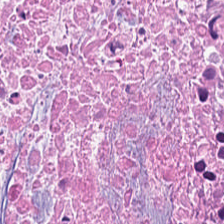Stain: hematoxylin-and-eosin stained section.
Tissue: cellular debris.
